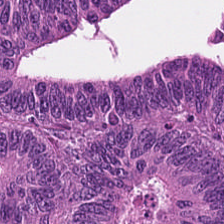H&E-stained section; the field shows colorectal adenocarcinoma.
